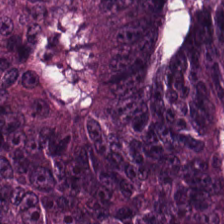Hematoxylin-and-eosin stained section; FFPE; brightfield microscopy.
The tissue here is colorectal adenocarcinoma epithelium.
